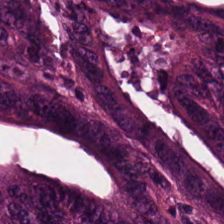H&E-stained tissue section; formalin-fixed paraffin-embedded section — This field is adenocarcinoma.
